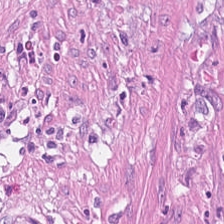H&E-stained tissue section. Tissue type — cancer-associated stroma.
